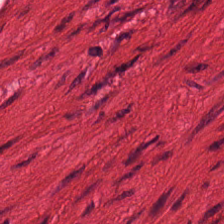Stain: hematoxylin and eosin.
Preparation: formalin-fixed paraffin-embedded section.
Predominant tissue: smooth-muscle tissue.
